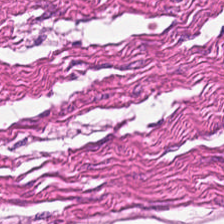Hematoxylin-and-eosin stained section.
Showing muscularis.
